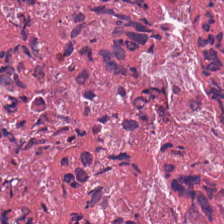0.5 µm per pixel. Hematoxylin-and-eosin stained section. Whole-slide-image patch.
This patch shows necrotic debris.
